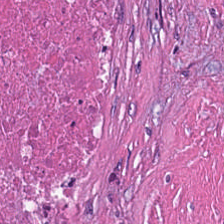Tissue — debris.
